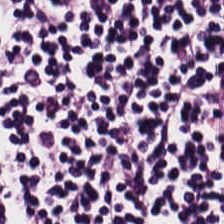224×224 px tile · 0.5 µm/px · hematoxylin-and-eosin stained section. Histology — lymphocytes.
